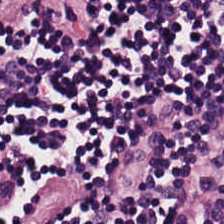H&E stain. The classification is lymphocytic infiltrate.
